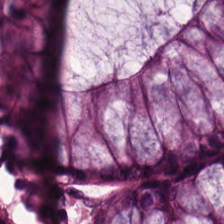H&E stain — {"tissue_type": "non-neoplastic colon mucosa"}
